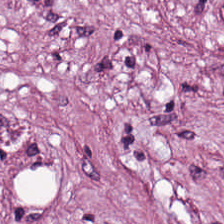Hematoxylin-and-eosin stained section.
Tissue class — desmoplastic stroma.
